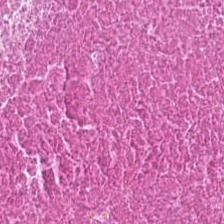Impression — cellular debris.
